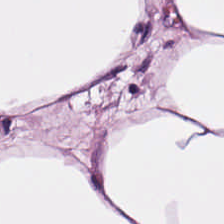Brightfield. 224×224 pixel tile. H&E-stained tissue section.
This patch shows adipose tissue.
